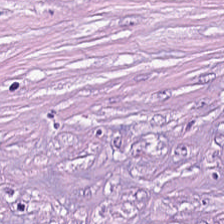H&E stain — {"tissue_type": "tumor-associated stroma"}
